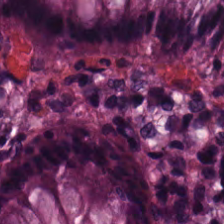Stain: hematoxylin and eosin.
Tissue: normal colon mucosa.
